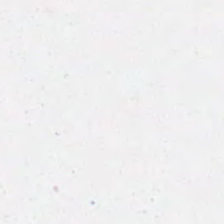Stain: hematoxylin and eosin.
Field content: no tissue.
